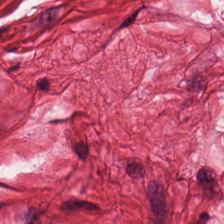Q: What type of tissue is this?
A: This is smooth-muscle tissue.
